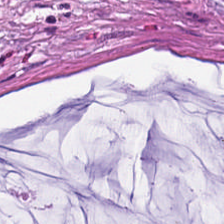H&E stain. 0.5 µm/px. Finding → mucin.
